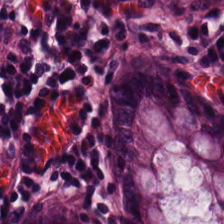Whole-slide-image patch · FFPE tissue section · hematoxylin and eosin.
The predominant tissue is normal colon mucosa.
